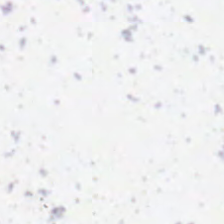Brightfield microscopy; 224×224 pixel tile; H&E — Q: What is shown in this field?
A: Background (no tissue).
